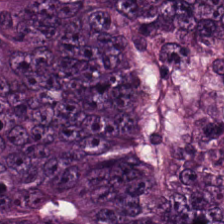{"tissue_type": "colorectal adenocarcinoma epithelium"}
